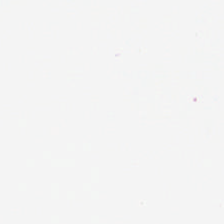Whole-slide-image patch · FFPE · H&E-stained tissue section — Content = background (no tissue).
